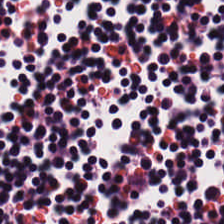H&E-stained tissue section — Q: What tissue type is shown here?
A: The field shows lymphocyte aggregate.
